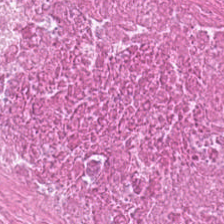The predominant tissue is debris.
